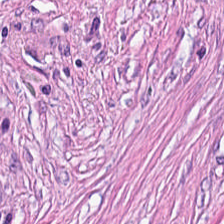H&E. This field is tumor-associated stroma.
